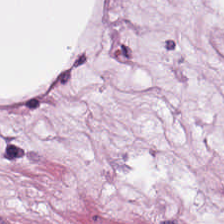Tissue type = adipose.
